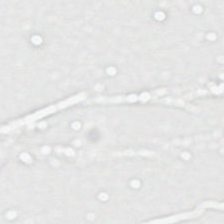0.5 microns per pixel. H&E stain.
This patch shows empty background.
